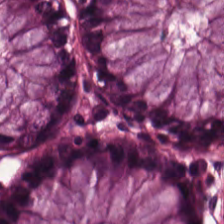The tissue class is normal colonic mucosa.
